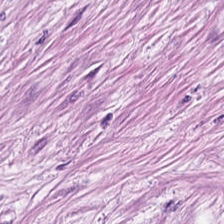H&E stain.
Showing desmoplastic stroma.
